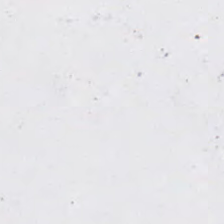Hematoxylin-and-eosin stained section. Background — no tissue in this field.
